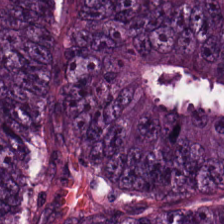20× equivalent magnification. H&E. 224×224 pixel tile. Impression — colorectal adenocarcinoma.
